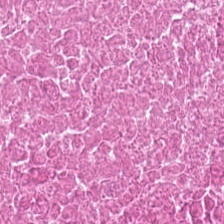Stain: hematoxylin and eosin.
Tissue type: cellular debris.
